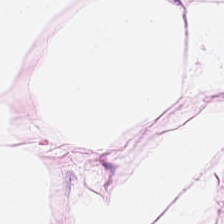Hematoxylin and eosin — Tissue: adipose tissue.
